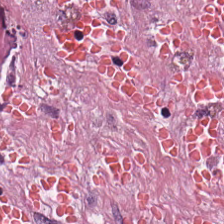H&E-stained tissue section — Tumor stroma.
